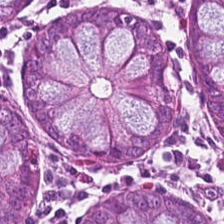Stain: hematoxylin-and-eosin stained section.
Tissue: normal colon mucosa.
